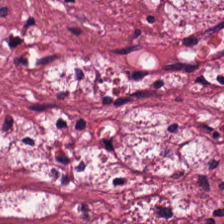Finding — tumor stroma.
